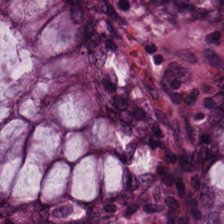Q: What tissue is shown?
A: Benign colonic mucosa.
